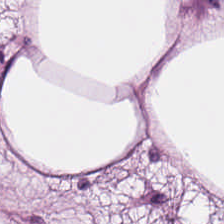Adipose tissue.
